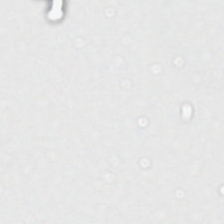H&E stain — Finding — background (no tissue).
